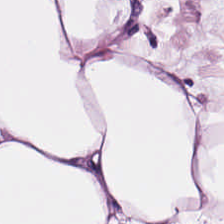Stain: H&E stain.
Acquisition: WSI patch.
Tissue class: fat tissue.
